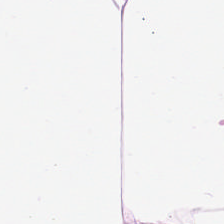Predominant tissue: adipose tissue.
